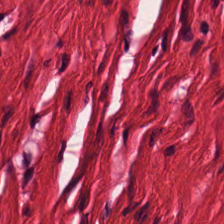Hematoxylin and eosin. Tissue type: muscularis.
